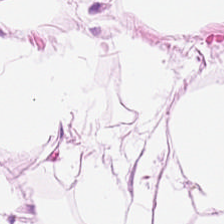Hematoxylin and eosin. FFPE. 224×224 pixel tile.
Q: Identify the tissue.
A: The field shows adipose.
